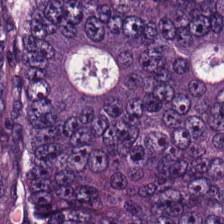H&E. FFPE — Showing tumor epithelium.
